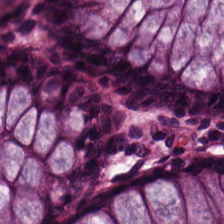Finding → non-neoplastic colon mucosa.
